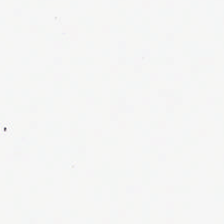Stain: H&E stain.
Field content: background (no tissue).
